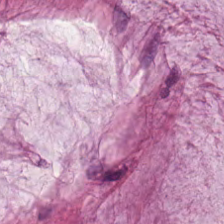Hematoxylin-and-eosin stained section — Extracellular mucin.
